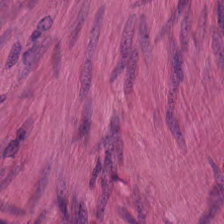Hematoxylin and eosin.
Predominantly smooth-muscle tissue.
